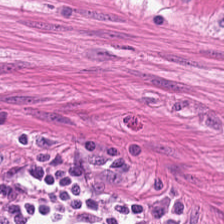H&E. 20× equivalent magnification. 224×224 px patch — {"tissue_type": "muscularis"}
